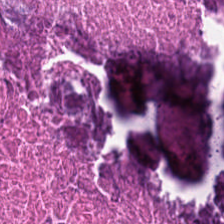Hematoxylin and eosin.
This field is cellular debris.
